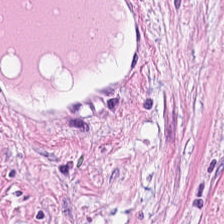0.5 microns per pixel. H&E stain. Predominantly desmoplastic stroma.
